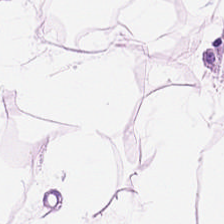Hematoxylin-and-eosin stained section. 20× equivalent magnification. Predominantly adipocytes.
